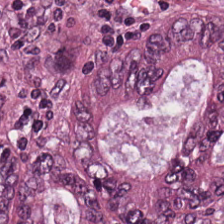Histology — malignant epithelium.
